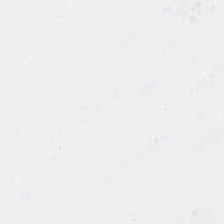The classification is no tissue.
